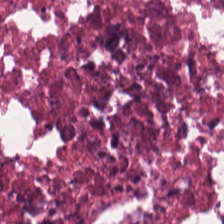The tissue is debris.
